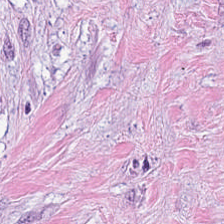H&E-stained tissue section; 224×224 pixel tile; 0.5 µm per pixel.
Q: What is shown in this field?
A: The field shows desmoplastic stroma.
